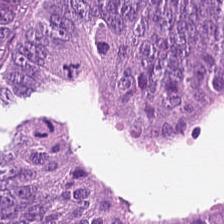H&E stain · 0.5 µm per pixel. Classification — tumor epithelium.
